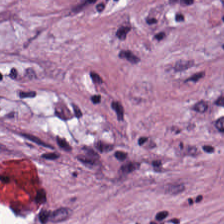H&E-stained tissue section.
Predominantly tumor stroma.
